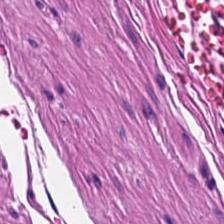This field is smooth muscle.
